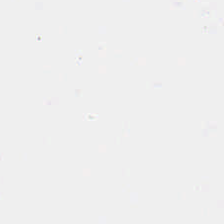Hematoxylin-and-eosin stained section · formalin-fixed paraffin-embedded section — This field is background (no tissue).
